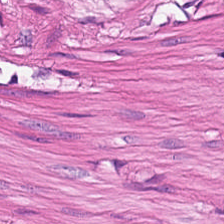Q: What is the predominant tissue type?
A: The field shows muscularis.
